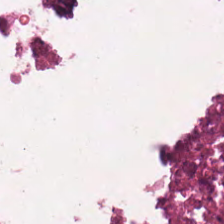Stain: H&E-stained tissue section.
Resolution: 0.5 µm per pixel.
Tile size: 224×224 pixel tile.
Tissue class: necrotic debris.
